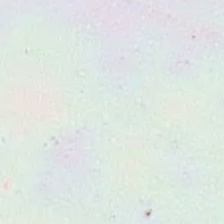Whole-slide-image patch. Hematoxylin and eosin.
Finding — background.
